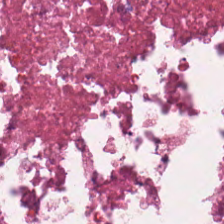The predominant tissue is debris.
